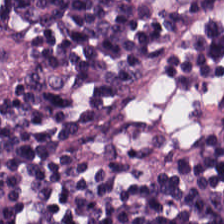Hematoxylin-and-eosin stained section.
{"tissue_type": "lymphocytic infiltrate"}
